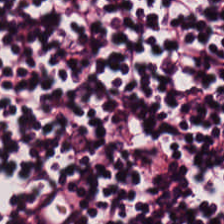Hematoxylin-and-eosin stained section. Histology → lymphoid infiltrate.
